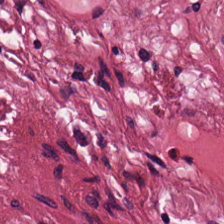Hematoxylin-and-eosin stained section — This field is desmoplastic stroma.
